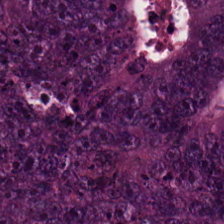224×224 px patch; hematoxylin-and-eosin stained section; WSI patch — This field is malignant epithelium.
